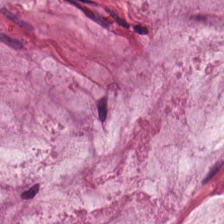Tissue — mucus.
